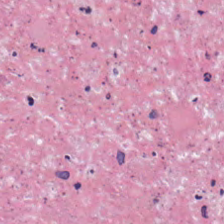The predominant tissue is necrotic debris.
